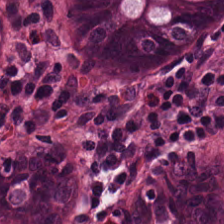Tissue — non-neoplastic colon mucosa.
